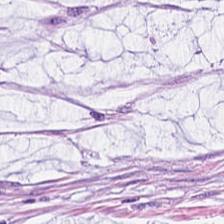Hematoxylin-and-eosin stained section. This patch shows mucus.
